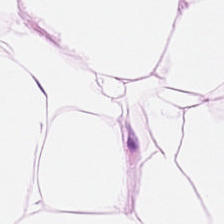H&E-stained tissue section · WSI patch. Tissue type — adipose tissue.
